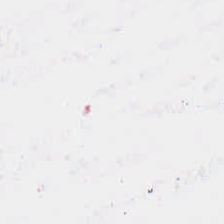Brightfield microscopy · H&E stain — Finding — background.
